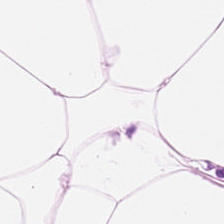H&E-stained tissue section. The tissue is adipose tissue.
